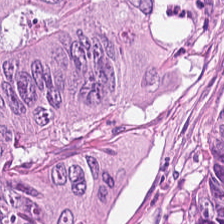H&E-stained tissue section. FFPE tissue section.
Predominantly malignant epithelium.
